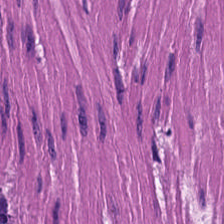FFPE · H&E stain · 0.5 µm/px — Q: What is shown here?
A: The field shows muscularis.
